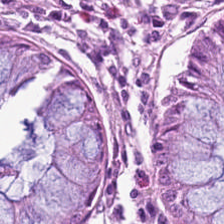Stain: H&E.
Tissue type: normal colon mucosa.
